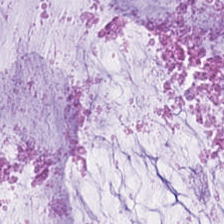20× equivalent magnification; H&E stain. Impression — extracellular mucin.
